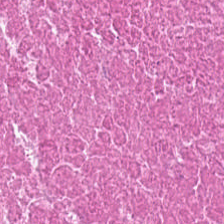Hematoxylin-and-eosin stained section — Classification: cellular debris.
